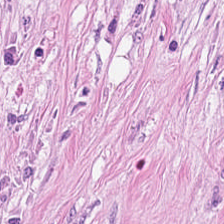H&E. The predominant tissue is tumor-associated stroma.
